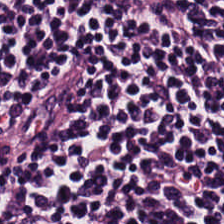Stain: H&E stain.
Tissue type: lymphocytes.
